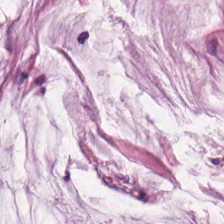Whole-slide-image patch; H&E stain; formalin-fixed paraffin-embedded section.
Extracellular mucin.
